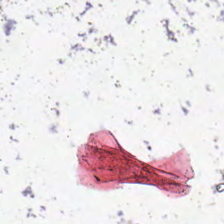Classification: empty background.
